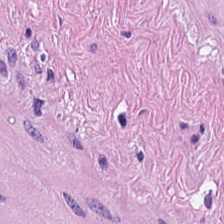Classification = smooth-muscle tissue.
